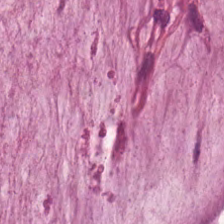Hematoxylin-and-eosin stained section · 224×224 px tile — The tissue here is extracellular mucin.
